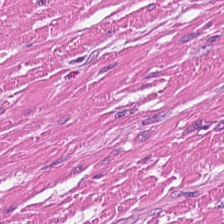H&E-stained tissue section. This field is smooth muscle.
